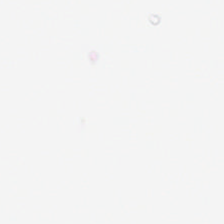Whole-slide-image patch. H&E-stained tissue section — Empty background.
